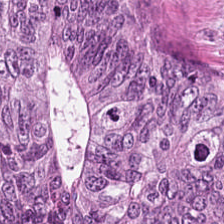Hematoxylin-and-eosin stained section.
The predominant tissue is colorectal adenocarcinoma.
